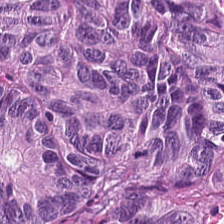Q: What tissue is shown?
A: It is adenocarcinoma.
